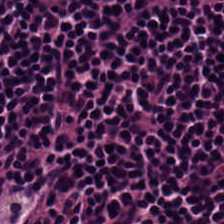H&E-stained section; the field shows lymphoid infiltrate.
